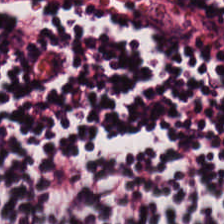Hematoxylin and eosin — The tissue here is lymphocyte aggregate.
